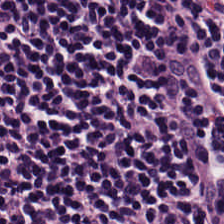H&E. WSI patch. 224×224 px tile.
Q: What is shown here?
A: The field shows lymphocytic infiltrate.
